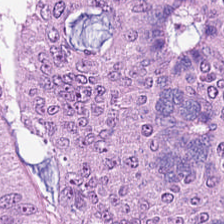H&E-stained tissue section. Showing colorectal adenocarcinoma.
